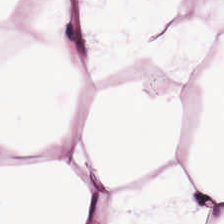224×224 px patch. H&E. Whole-slide-image patch. Q: What is shown here?
A: Adipose.
